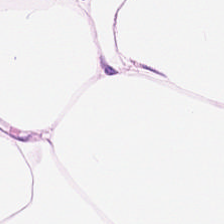This field is adipose tissue.
